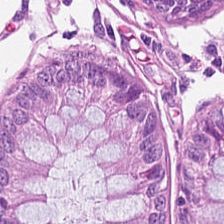FFPE tissue section · 224×224 pixel tile · hematoxylin-and-eosin stained section.
{"tissue_type": "non-neoplastic colon mucosa"}
